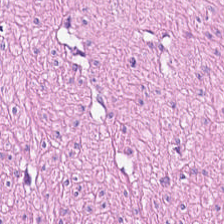This patch shows muscularis.
